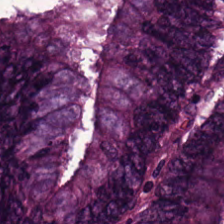H&E stain; FFPE tissue section; 20× equivalent magnification. The tissue here is malignant epithelium.
